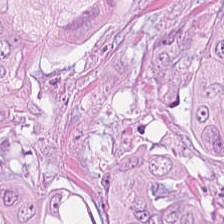Stain: hematoxylin-and-eosin stained section.
Resolution: 0.5 microns per pixel.
Acquisition: brightfield microscopy.
Predominant tissue: adenocarcinoma.
